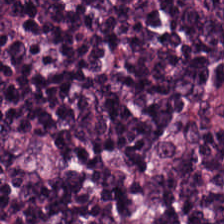H&E stain.
The predominant tissue is lymphoid infiltrate.
